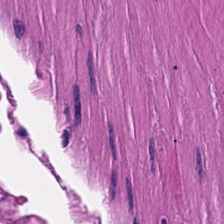Stain: H&E-stained tissue section.
Preparation: FFPE.
Tile size: 224×224 px patch.
Tissue type: smooth-muscle tissue.
